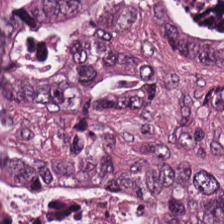H&E-stained tissue section · 0.5 µm per pixel — Q: What tissue type is shown here?
A: This is adenocarcinoma.
